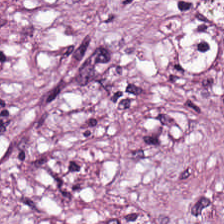Classification — desmoplastic stroma.
